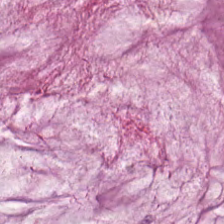224×224 pixel tile · FFPE · hematoxylin and eosin — Tissue type — mucus.
